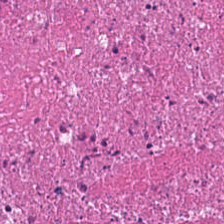Stain: hematoxylin-and-eosin stained section.
Preparation: formalin-fixed paraffin-embedded section.
Tissue class: debris.
